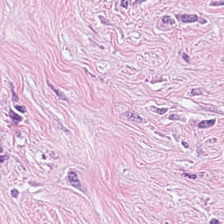Whole-slide-image patch; FFPE tissue section; hematoxylin-and-eosin stained section — Showing cancer-associated stroma.
